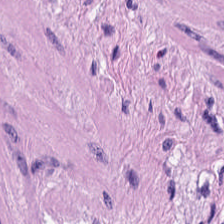H&E-stained section; the field shows smooth muscle.
